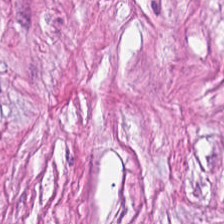Hematoxylin-and-eosin stained section — Finding → desmoplastic stroma.
